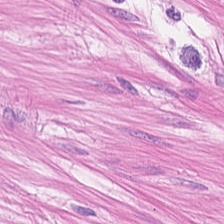H&E-stained tissue section. Showing smooth-muscle tissue.
